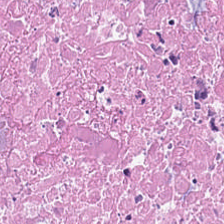Hematoxylin-and-eosin stained section. WSI patch. 0.5 µm/px — Finding — cellular debris.
